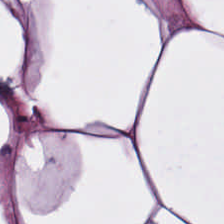Classification: adipose tissue.
